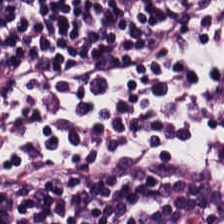Lymphocytic infiltrate.
